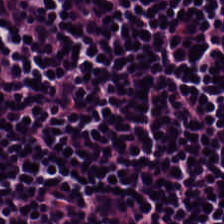H&E. This patch shows lymphocytic infiltrate.
